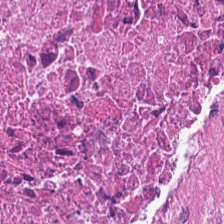{"tissue_type": "debris"}
